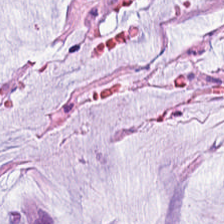H&E-stained tissue section; 0.5 µm per pixel.
Predominant tissue — mucus.
